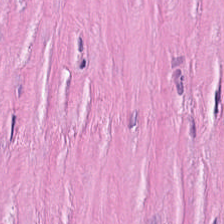Brightfield; H&E-stained tissue section; formalin-fixed paraffin-embedded section. Classification — tumor stroma.
